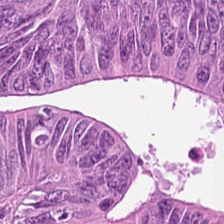Hematoxylin and eosin. Adenocarcinoma.
